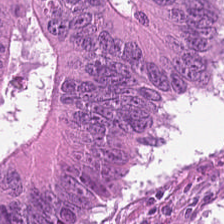0.5 µm/px · H&E-stained tissue section. Q: What type of tissue is this?
A: It is malignant epithelium.
